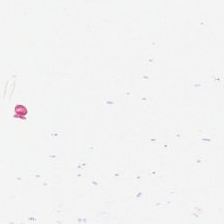This field is background (no tissue).
